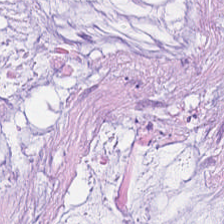H&E stain.
This field is mucus.
